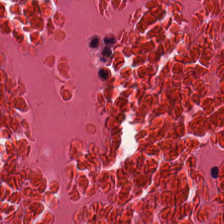Stain: H&E stain.
Tissue class: debris.
